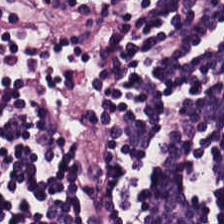Hematoxylin and eosin.
Q: Identify the tissue.
A: Lymphocytes.
